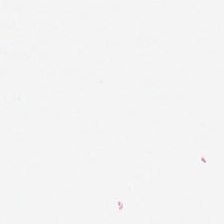H&E-stained tissue section. FFPE — Background (no tissue).
